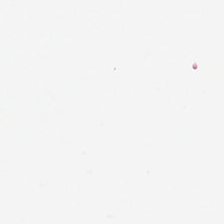Hematoxylin-and-eosin stained section. Field content — no tissue.
